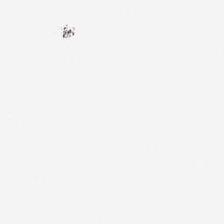224×224 px tile · H&E stain.
Histology → background (no tissue).
